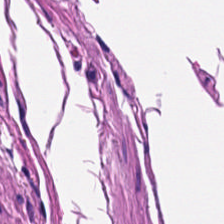Brightfield microscopy. 0.5 microns per pixel. H&E — The tissue here is muscularis.
